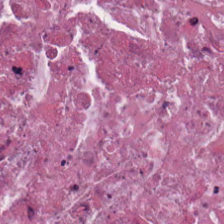{"tissue_type": "debris"}
